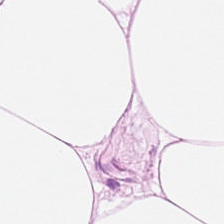Stain: hematoxylin and eosin.
Classification: adipose.
